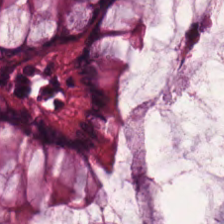H&E stain.
The tissue is normal colonic mucosa.
